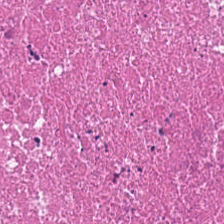The predominant tissue is debris.
